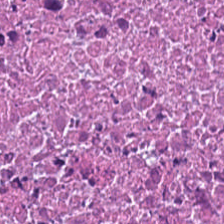Tissue type = debris.
